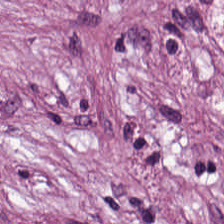H&E-stained tissue section. This field is tumor-associated stroma.
